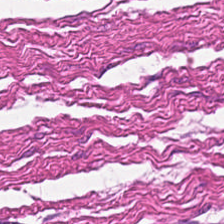Hematoxylin and eosin.
The predominant tissue is smooth muscle.
